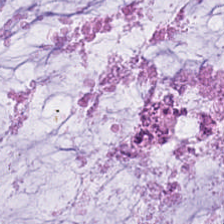FFPE tissue section. 0.5 microns per pixel. Hematoxylin and eosin. Classification = mucus.
